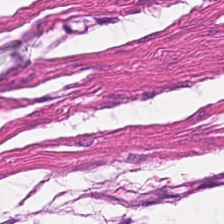Finding — smooth-muscle tissue.
